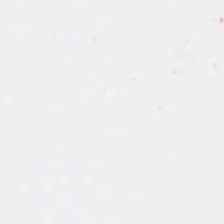The content is background.
